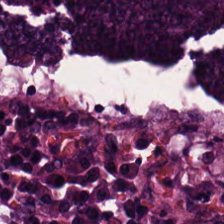Tissue type = colorectal adenocarcinoma epithelium.
